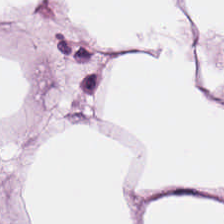H&E-stained tissue section.
Showing fat tissue.
